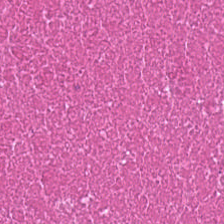Stain: H&E-stained tissue section.
Tissue type: necrotic debris.
